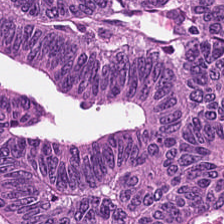Predominantly colorectal adenocarcinoma.
